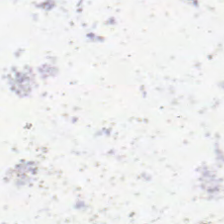H&E-stained tissue section; 224×224 px patch; 0.5 µm/px.
Content — empty background.
